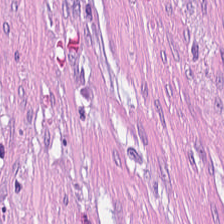Whole-slide-image patch; H&E stain. Tissue type — cancer-associated stroma.
